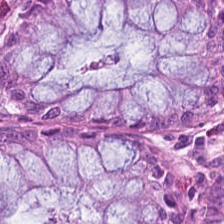Impression → normal colon mucosa.
